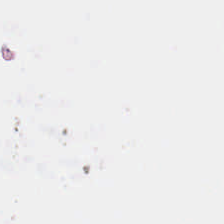Formalin-fixed paraffin-embedded section. H&E-stained tissue section. No tissue present; background only.
